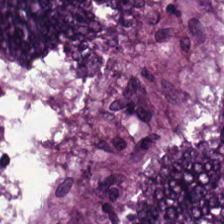Hematoxylin and eosin.
Finding — colorectal adenocarcinoma epithelium.
